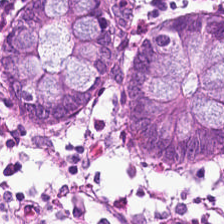H&E. 20× equivalent magnification. {"tissue_type": "benign colonic mucosa"}
